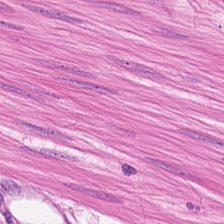Hematoxylin and eosin. Q: Classify this patch.
A: This is smooth-muscle tissue.
